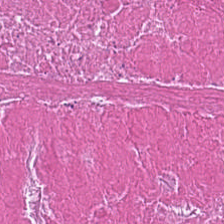H&E stain. The predominant tissue is necrotic debris.
